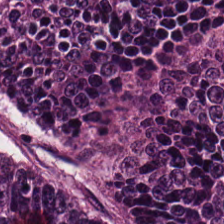Brightfield; H&E stain.
Predominantly colorectal adenocarcinoma.
